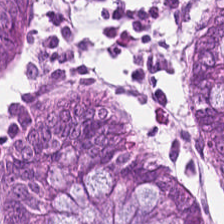H&E patch showing benign colonic mucosa.
